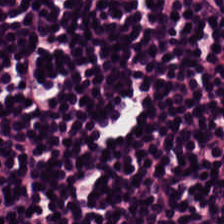Stain: H&E stain.
Tissue class: lymphoid infiltrate.
